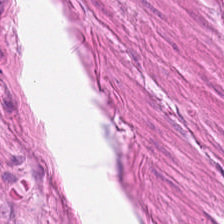H&E.
{"tissue_type": "smooth-muscle tissue"}
